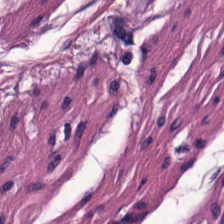H&E — {"tissue_type": "muscularis"}
